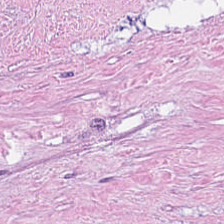Hematoxylin-and-eosin stained section.
Predominantly necrotic debris.
